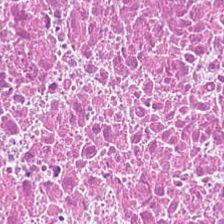Hematoxylin-and-eosin stained section — {"tissue_type": "necrotic debris"}
